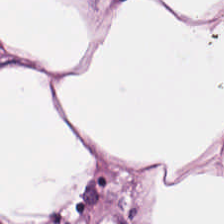H&E — Tissue type = adipose.
